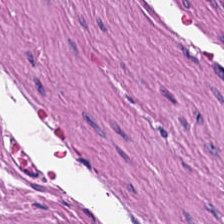H&E stain. 224×224 px tile — The classification is smooth-muscle tissue.
